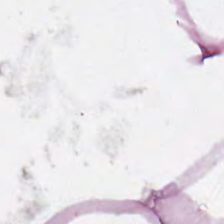The classification is adipose.
